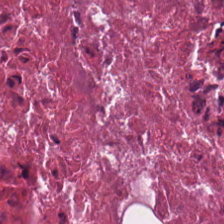H&E stain.
Q: Identify the tissue.
A: Debris.
